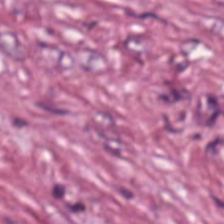H&E stain — Showing desmoplastic stroma.
